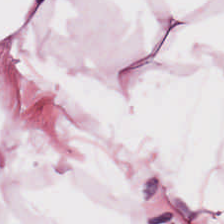Hematoxylin-and-eosin stained section; 224×224 px patch — The tissue class is fat tissue.
